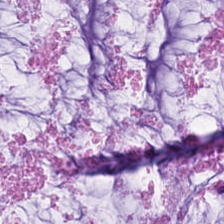H&E-stained tissue section.
Predominant tissue — mucin.
